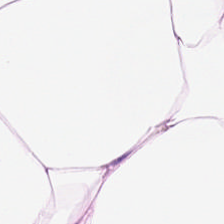H&E stain.
Finding — fat tissue.
